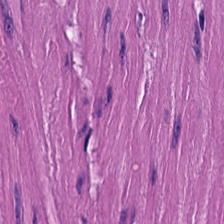H&E-stained tissue section. FFPE tissue section. Q: What does this patch show?
A: The field shows smooth-muscle tissue.
